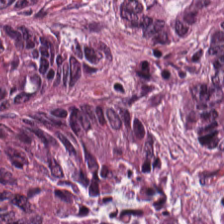Formalin-fixed paraffin-embedded section; hematoxylin and eosin; 224×224 px patch. This field is malignant epithelium.
